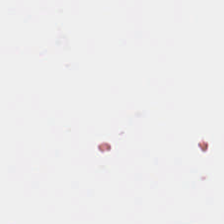224×224 pixel tile · H&E-stained tissue section — {"content": "background (no tissue)"}
